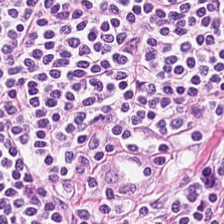Hematoxylin-and-eosin stained section; FFPE; 224×224 px patch — The predominant tissue is lymphocytes.
